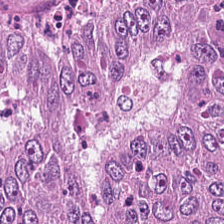H&E — The predominant tissue is tumor epithelium.
